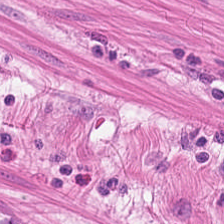224×224 px patch. Hematoxylin and eosin — This patch shows smooth-muscle tissue.
